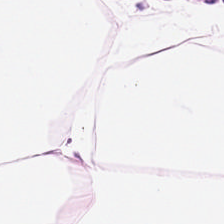Hematoxylin-and-eosin stained section; 0.5 µm/px. Q: What type of tissue is this?
A: The field shows fat tissue.
